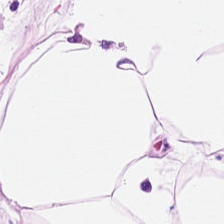0.5 µm/px · hematoxylin and eosin.
Predominantly adipose.
